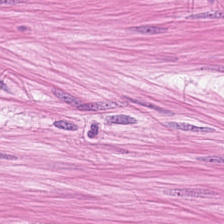H&E.
{"tissue_type": "smooth muscle"}
